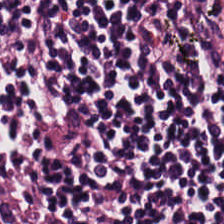224×224 px patch · H&E stain · whole-slide-image patch. Histology — lymphoid infiltrate.
